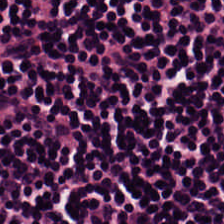Q: What type of tissue is this?
A: It is lymphoid infiltrate.
